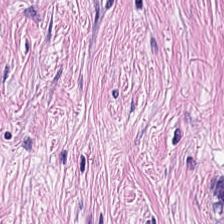20× equivalent magnification; hematoxylin and eosin. Tumor-associated stroma.
